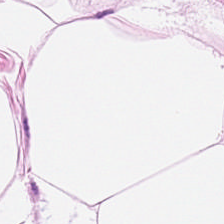Hematoxylin and eosin. Q: What is the predominant tissue type?
A: The field shows adipose.
